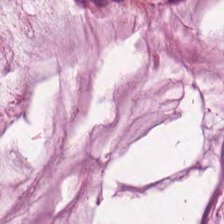Hematoxylin-and-eosin section: extracellular mucin.
